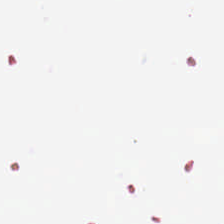H&E. This patch shows no tissue.
